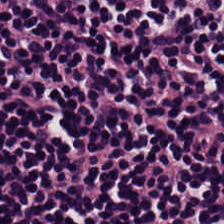Hematoxylin and eosin.
Predominantly lymphocyte aggregate.
